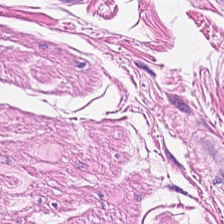H&E. Smooth muscle.
